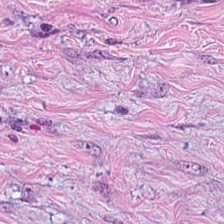H&E patch showing tumor stroma.
